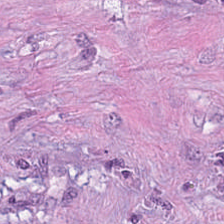H&E · formalin-fixed paraffin-embedded section.
Histology — tumor-associated stroma.
